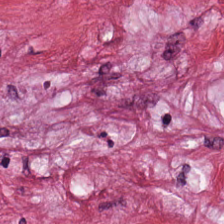Stain: H&E.
Acquisition: brightfield.
Preparation: formalin-fixed paraffin-embedded section.
Tissue: tumor stroma.
